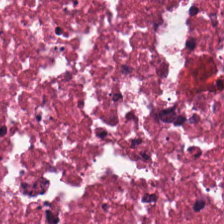Hematoxylin-and-eosin stained section.
The tissue here is cellular debris.
